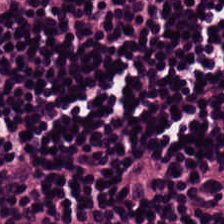Hematoxylin and eosin — The tissue here is lymphocyte aggregate.
